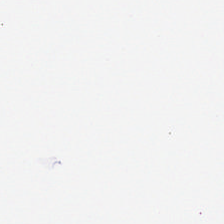Hematoxylin and eosin. Content = empty background.
